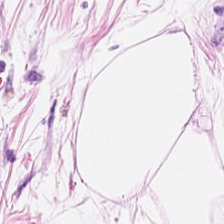Brightfield · hematoxylin-and-eosin stained section · 20× equivalent magnification.
Adipocytes.
